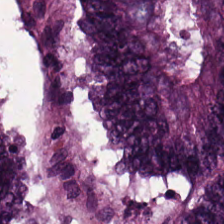H&E stain — Showing colorectal adenocarcinoma epithelium.
